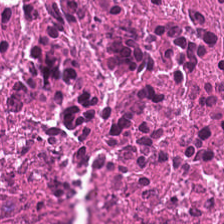Hematoxylin and eosin. Histology → cellular debris.
